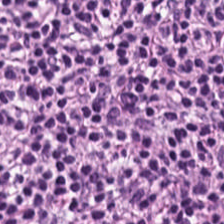224×224 px tile. H&E. 0.5 microns per pixel — The tissue here is lymphocytic infiltrate.
